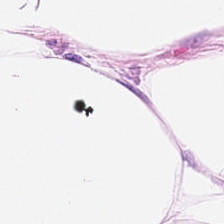H&E-stained tissue section — The predominant tissue is adipose.
